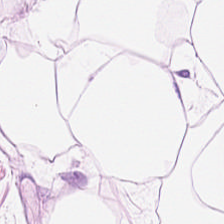H&E stain. Q: What does this patch show?
A: It is fat tissue.
